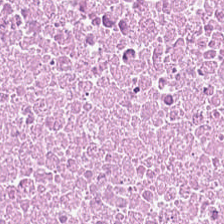Hematoxylin-and-eosin stained section; 0.5 microns per pixel; FFPE — The predominant tissue is cellular debris.
